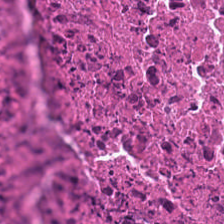Stain: H&E.
Tile size: 224×224 pixel tile.
Acquisition: whole-slide-image patch.
Tissue: cellular debris.
